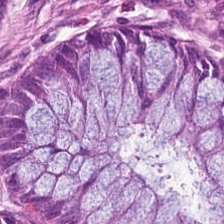H&E-stained tissue section. The tissue here is benign colonic mucosa.
